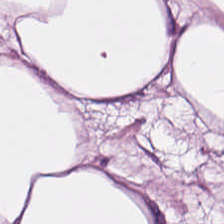Stain: hematoxylin-and-eosin stained section.
Predominant tissue: adipocytes.
